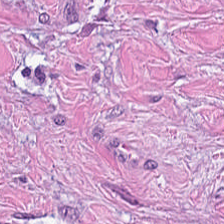H&E-stained tissue section — The tissue here is cancer-associated stroma.
